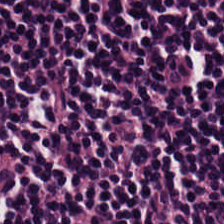WSI patch. 224×224 px patch. H&E.
Tissue class: lymphocyte aggregate.
